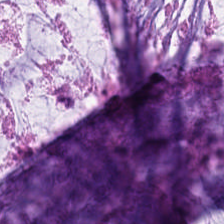Stain: hematoxylin and eosin.
Tile size: 224×224 px patch.
Tissue type: mucin.
